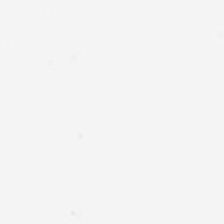Background.
